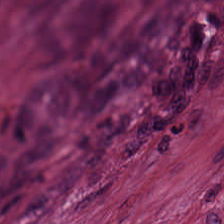H&E-stained tissue section; 224×224 px tile.
Q: What does this patch show?
A: The field shows cancer-associated stroma.
